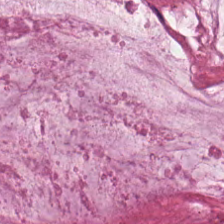H&E — mucus.
